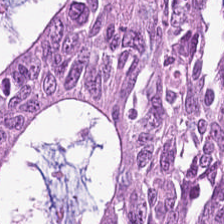Stain: H&E stain.
Tissue: colorectal adenocarcinoma epithelium.
